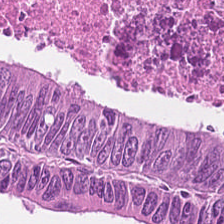H&E; FFPE. Q: What type of tissue is this?
A: It is colorectal adenocarcinoma.
